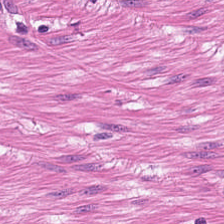H&E — Classification: muscularis.
